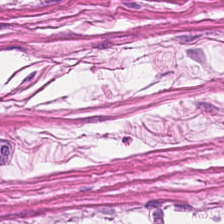H&E.
Q: Classify this patch.
A: It is smooth-muscle tissue.
